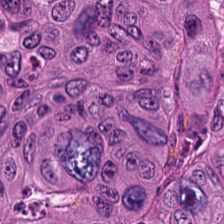The classification is adenocarcinoma.
